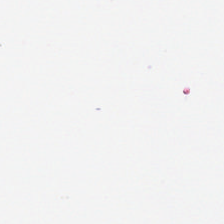Hematoxylin and eosin · 224×224 px patch.
{"content": "no tissue"}
